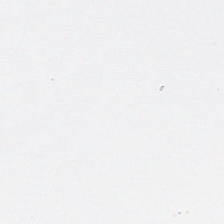H&E stain.
Q: Classify this patch.
A: It is no tissue.
